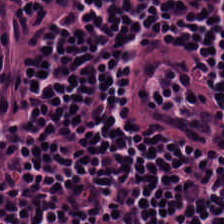Hematoxylin and eosin — Predominant tissue — lymphocyte aggregate.
